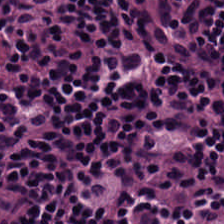H&E-stained tissue section. The tissue here is lymphocyte aggregate.
